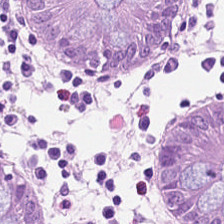H&E-stained tissue section; 0.5 microns per pixel. The tissue here is normal colon mucosa.
